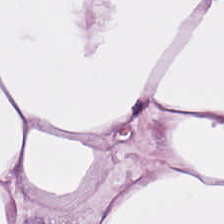Hematoxylin-and-eosin stained section; whole-slide-image patch; 224×224 px tile — Tissue: adipocytes.
